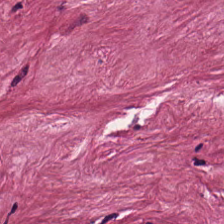Hematoxylin and eosin · WSI patch — Predominant tissue: tumor stroma.
